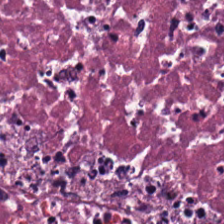FFPE tissue section · H&E · 0.5 microns per pixel.
Q: What type of tissue is this?
A: The field shows cellular debris.
